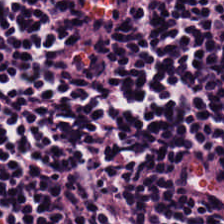The tissue type is lymphocyte aggregate.
